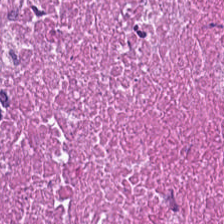0.5 microns per pixel; H&E-stained tissue section; FFPE. Showing necrotic debris.
